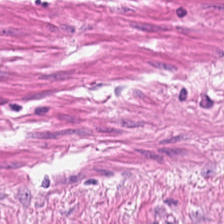224×224 px tile · H&E — Tissue: smooth muscle.
